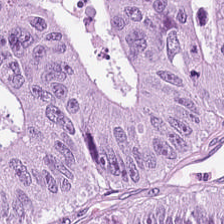H&E. FFPE tissue section. Brightfield microscopy. Q: Classify this patch.
A: Tumor epithelium.
